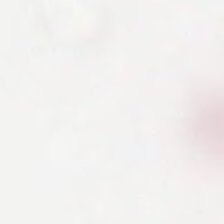Hematoxylin-and-eosin stained section · brightfield microscopy. This patch shows no tissue.
